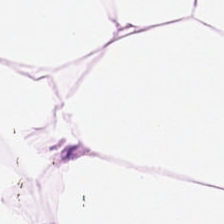Showing adipose.
